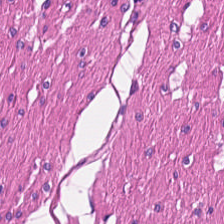FFPE · H&E-stained tissue section — Q: What tissue type is shown here?
A: Muscularis.
